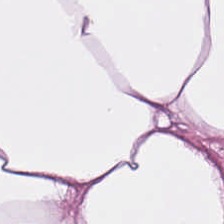H&E-stained tissue section. {"tissue_type": "fat tissue"}
